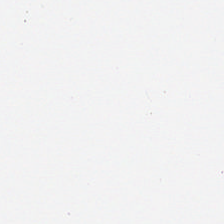Stain: H&E-stained tissue section.
Preparation: formalin-fixed paraffin-embedded section.
Field content: no tissue.
